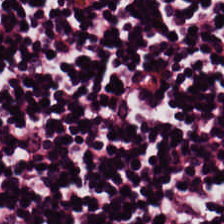WSI patch; 0.5 µm/px; H&E — Tissue — lymphocyte aggregate.
